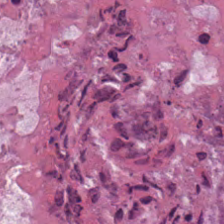FFPE. 224×224 pixel tile. H&E-stained tissue section. The predominant tissue is necrotic debris.
